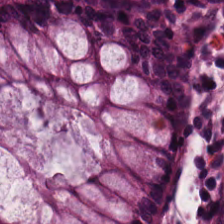Whole-slide-image patch · H&E stain. Q: What is shown in this field?
A: It is normal colonic mucosa.
